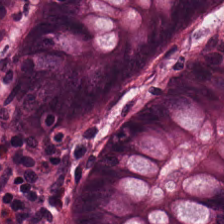Hematoxylin-and-eosin section: benign colonic mucosa.
